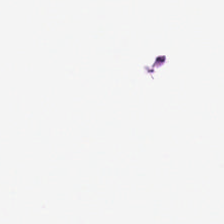H&E. This patch shows background.
